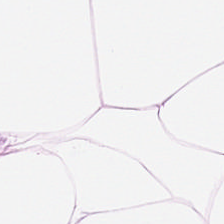Predominantly adipose.
